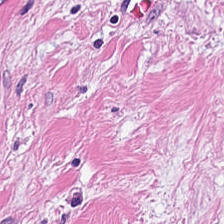Stain: H&E.
Tile size: 224×224 pixel tile.
Tissue: cancer-associated stroma.
